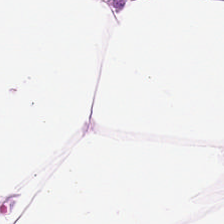H&E stain.
Tissue type = adipose.
